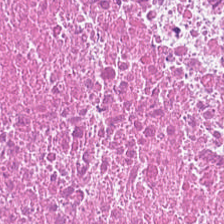Finding — debris.
